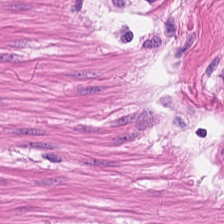H&E-stained tissue section.
Showing muscularis.
